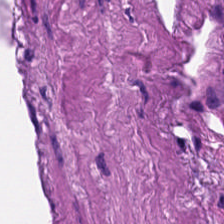Predominant tissue — smooth muscle.
